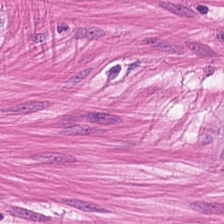Stain: H&E stain.
Resolution: 20× equivalent magnification.
Classification: muscularis.
